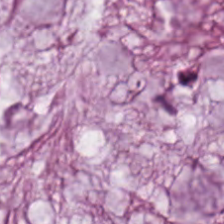Predominant tissue = extracellular mucin.
